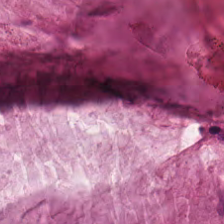H&E stain; 0.5 microns per pixel; 224×224 pixel tile — This field is extracellular mucin.
